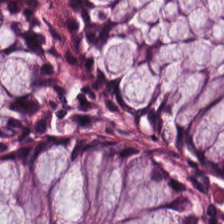20× equivalent magnification · H&E stain · formalin-fixed paraffin-embedded section — Normal colon mucosa.
